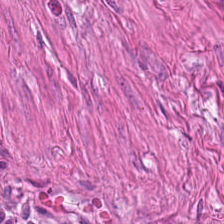224×224 pixel tile. 20× equivalent magnification. H&E-stained tissue section.
Predominant tissue — muscularis.
